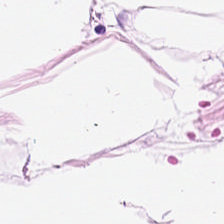Tissue class — adipocytes.
